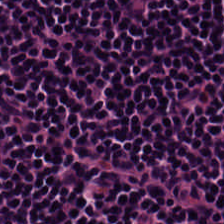Stain: H&E-stained tissue section.
Tissue class: lymphoid infiltrate.
